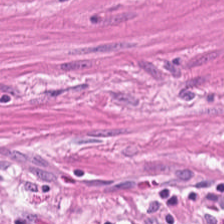Hematoxylin and eosin — The predominant tissue is smooth muscle.
